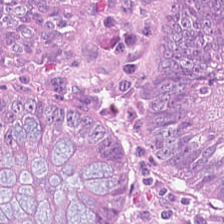H&E-stained section; the field shows tumor epithelium.
